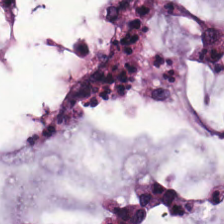Hematoxylin and eosin. WSI patch. The predominant tissue is extracellular mucin.
